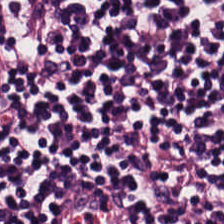Hematoxylin and eosin.
Lymphoid infiltrate.
